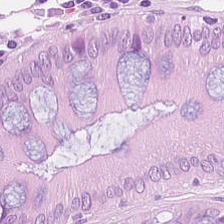Tissue type: normal colonic mucosa.
